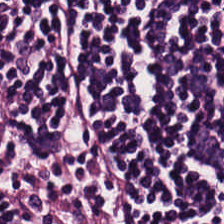H&E stain.
The predominant tissue is lymphoid infiltrate.
